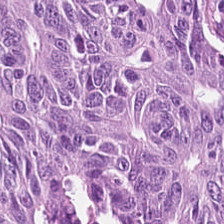H&E-stained tissue section — Colorectal adenocarcinoma.
